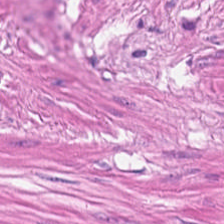H&E stain. Showing smooth-muscle tissue.
